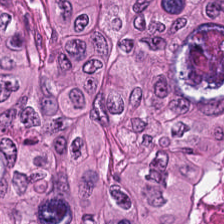Hematoxylin-and-eosin stained section. Q: What is the predominant tissue type?
A: Colorectal adenocarcinoma.
